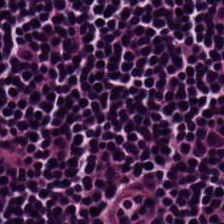Hematoxylin and eosin.
Q: What tissue type is shown here?
A: It is lymphocytes.
